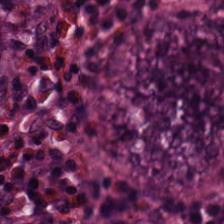Impression → non-neoplastic colon mucosa.
